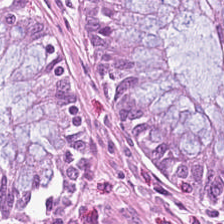0.5 microns per pixel; hematoxylin and eosin. Finding — non-neoplastic colon mucosa.
